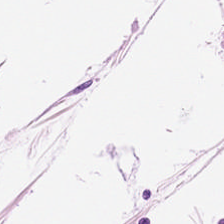Formalin-fixed paraffin-embedded section · hematoxylin and eosin.
Q: What does this patch show?
A: The field shows adipose.
